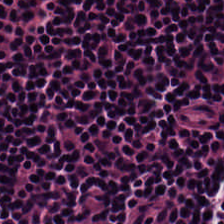The tissue class is lymphoid infiltrate.
